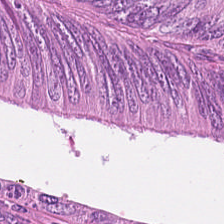Hematoxylin and eosin; 0.5 µm/px — This field is tumor epithelium.
